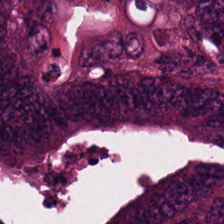Brightfield microscopy; H&E-stained tissue section.
The predominant tissue is adenocarcinoma.
